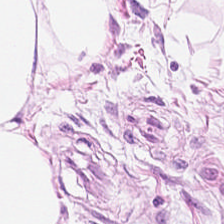H&E — The tissue here is adipose.
